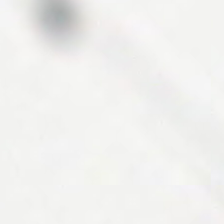H&E stain; 224×224 px tile; whole-slide-image patch — Field content — no tissue.
